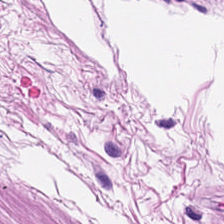Hematoxylin-and-eosin stained section — {"tissue_type": "smooth-muscle tissue"}
